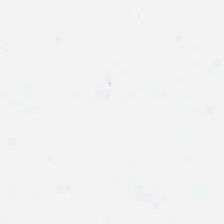Stain: hematoxylin and eosin.
Field content: no tissue.
